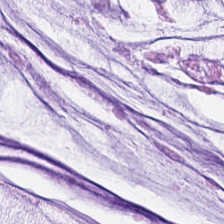H&E-stained tissue section.
Mucus.
